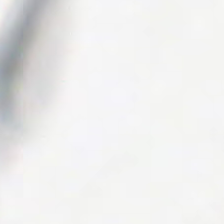Field content = background.
